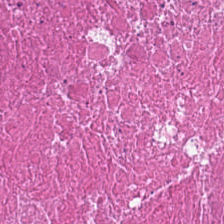Hematoxylin-and-eosin stained section.
Histology — cellular debris.
